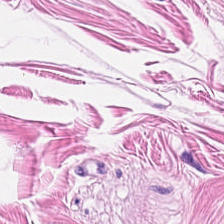H&E.
Smooth-muscle tissue.
